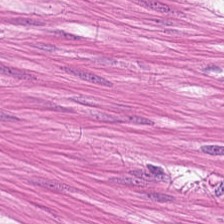Hematoxylin-and-eosin stained section — This patch shows smooth muscle.
